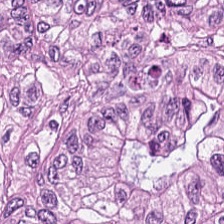Stain: H&E-stained tissue section.
Preparation: formalin-fixed paraffin-embedded section.
Predominant tissue: colorectal adenocarcinoma.
